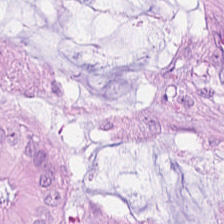H&E — The tissue type is colorectal adenocarcinoma.
